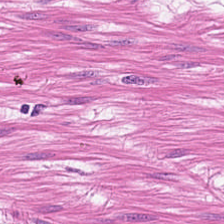FFPE. Whole-slide-image patch. Hematoxylin-and-eosin stained section.
The predominant tissue is muscularis.
